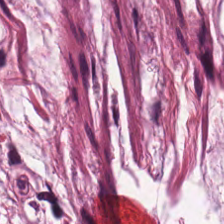Showing mucus.
